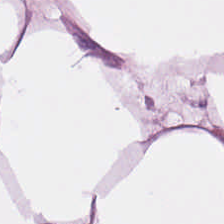H&E — Showing adipose tissue.
